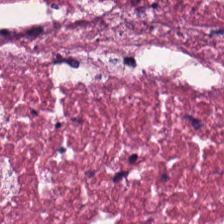H&E-stained section; the field shows cellular debris.
